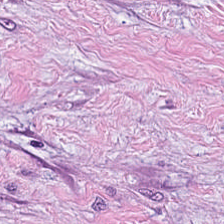H&E.
Tissue class = cancer-associated stroma.
